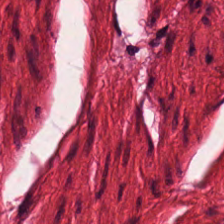H&E stain. Formalin-fixed paraffin-embedded section — The predominant tissue is smooth muscle.
